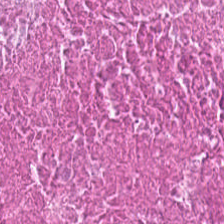Hematoxylin and eosin · formalin-fixed paraffin-embedded section.
The tissue is necrotic debris.
